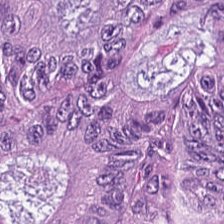Hematoxylin and eosin — Predominantly colorectal adenocarcinoma.
